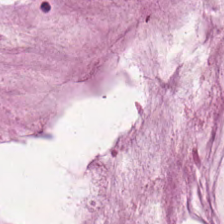H&E · FFPE tissue section. Q: What does this patch show?
A: It is extracellular mucin.
